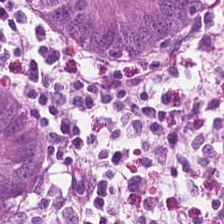Hematoxylin and eosin · 224×224 px patch · FFPE tissue section — Tissue type: non-neoplastic colon mucosa.
